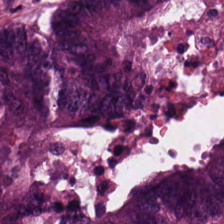0.5 µm per pixel. H&E. Tissue = adenocarcinoma.
